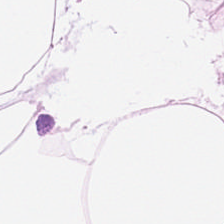Brightfield microscopy; H&E stain. Predominant tissue — adipocytes.
